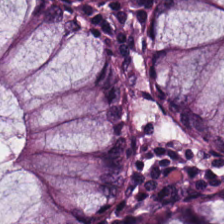Stain: hematoxylin-and-eosin stained section.
Tissue: non-neoplastic colon mucosa.
